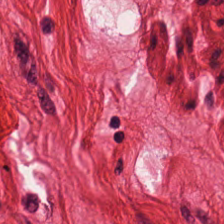0.5 µm per pixel · hematoxylin-and-eosin stained section.
Finding — smooth-muscle tissue.
